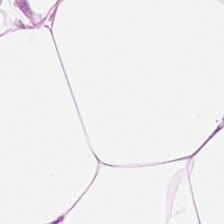Stain: H&E.
Tissue: adipose.
